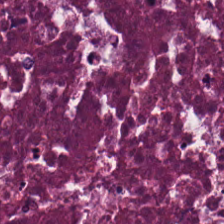FFPE · H&E-stained tissue section.
Predominantly debris.
